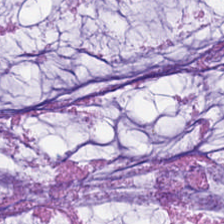H&E stain.
Finding → extracellular mucin.
